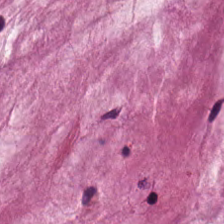FFPE tissue section · hematoxylin-and-eosin stained section — Tissue type = extracellular mucin.
